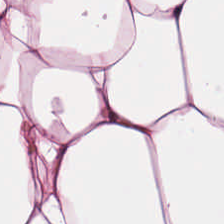H&E stain. The predominant tissue is fat tissue.
